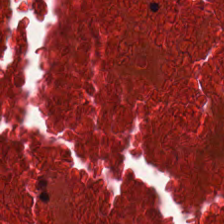Hematoxylin-and-eosin stained section.
The classification is debris.
